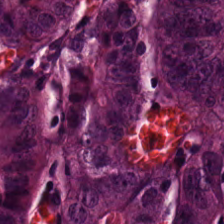Stain: hematoxylin-and-eosin stained section.
Predominant tissue: malignant epithelium.
